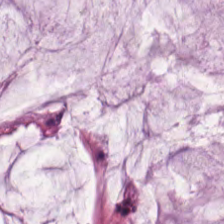H&E — Extracellular mucin.
